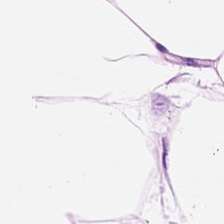Q: What does this patch show?
A: The field shows adipocytes.
